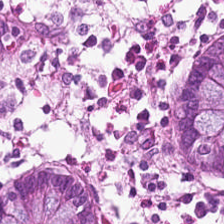Stain: hematoxylin-and-eosin stained section.
Acquisition: WSI patch.
Tissue class: benign colonic mucosa.
